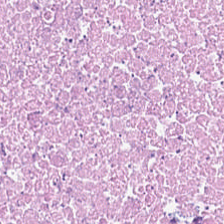H&E stain.
Predominant tissue = debris.
